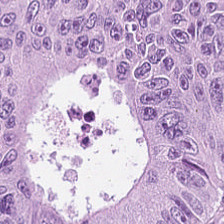Hematoxylin-and-eosin stained section — Adenocarcinoma.
